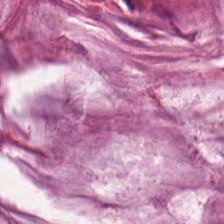0.5 µm per pixel; H&E — Predominant tissue = mucus.
